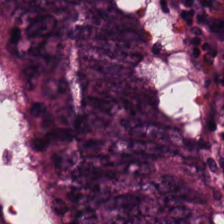Stain: H&E-stained tissue section.
Tissue type: malignant epithelium.
